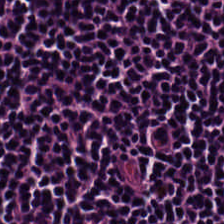H&E. Histology → lymphocytic infiltrate.
